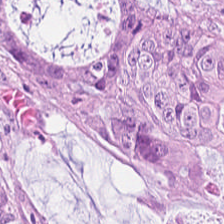Tissue = colorectal adenocarcinoma.
